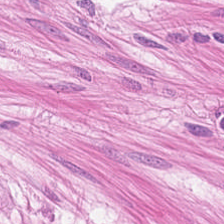Hematoxylin and eosin. Classification = muscularis.
